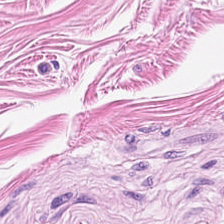H&E. Q: What tissue is shown?
A: Smooth muscle.
